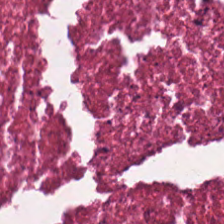H&E-stained tissue section — Q: What is the predominant tissue type?
A: This is debris.
